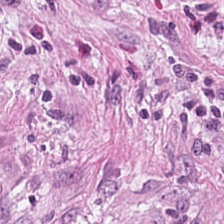Hematoxylin and eosin · 224×224 px patch.
This patch shows desmoplastic stroma.
